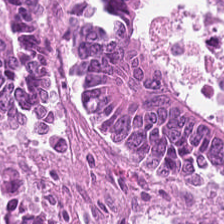H&E-stained tissue section. Tissue class — adenocarcinoma.
